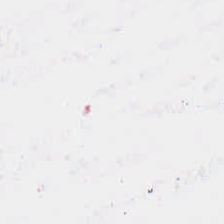H&E stain. Q: What is shown here?
A: The field shows background.
